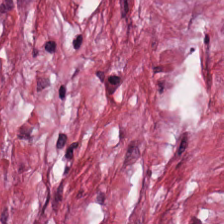H&E stain · formalin-fixed paraffin-embedded section · 0.5 µm/px. The tissue here is desmoplastic stroma.
